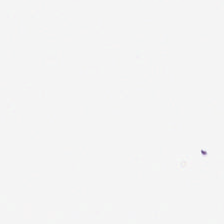H&E — Background — no tissue in this field.
